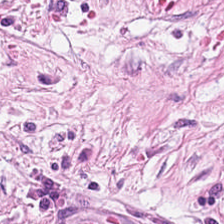FFPE; hematoxylin and eosin — {"tissue_type": "tumor stroma"}
